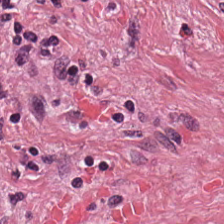Stain: hematoxylin and eosin.
Tissue class: tumor-associated stroma.
